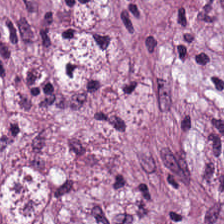Whole-slide-image patch. H&E stain. Predominantly cancer-associated stroma.
